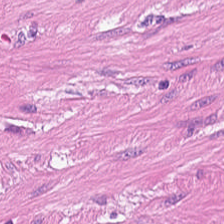Stain: H&E stain.
Tissue: smooth-muscle tissue.
